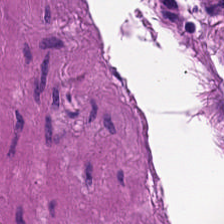Hematoxylin and eosin — Predominant tissue = smooth muscle.
